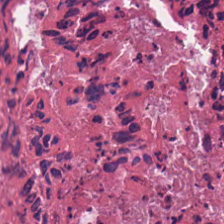Hematoxylin-and-eosin stained section. Q: What tissue is shown?
A: Cellular debris.
